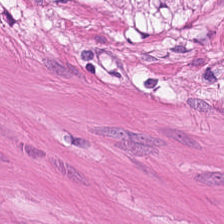H&E-stained tissue section — Smooth-muscle tissue.
